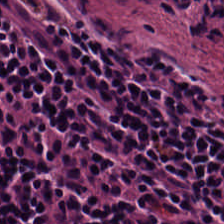Classification = lymphocytic infiltrate.
